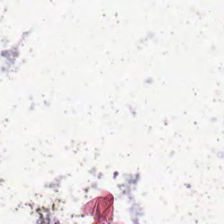H&E stain. Classification: no tissue.
